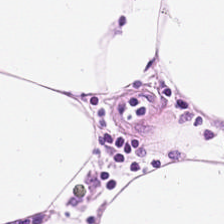Stain: hematoxylin-and-eosin stained section.
Resolution: 0.5 microns per pixel.
Classification: adipose.
